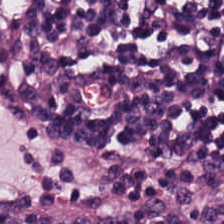Stain: hematoxylin and eosin.
Tile size: 224×224 px tile.
Acquisition: whole-slide-image patch.
Predominant tissue: lymphocytes.
